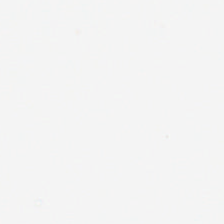H&E-stained tissue section — This patch shows empty background.
